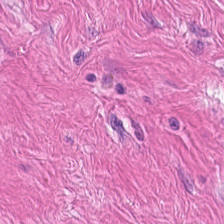Stain: hematoxylin-and-eosin stained section.
Classification: smooth-muscle tissue.
